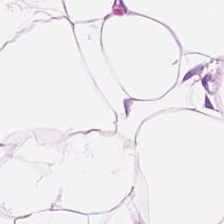Stain: H&E-stained tissue section.
Tissue class: fat tissue.
